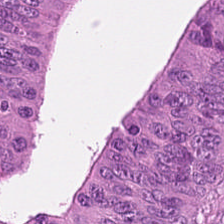H&E stain. The predominant tissue is malignant epithelium.
